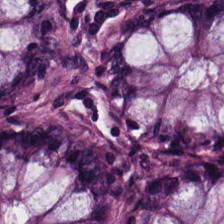Hematoxylin and eosin — Histology → normal colon mucosa.
